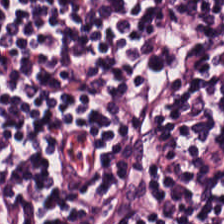Whole-slide-image patch · H&E.
This field is lymphocyte aggregate.
